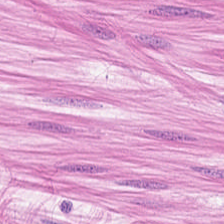H&E stain. FFPE. {"tissue_type": "smooth muscle"}
